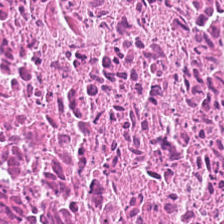Hematoxylin-and-eosin stained section · 224×224 pixel tile.
Q: What does this patch show?
A: This is debris.
